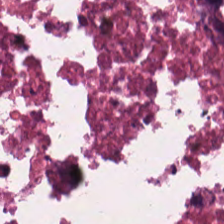Hematoxylin-and-eosin stained section. 0.5 µm per pixel.
The tissue class is necrotic debris.
